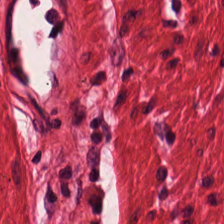Q: What does this patch show?
A: This is smooth muscle.
